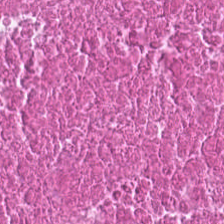WSI patch · hematoxylin-and-eosin stained section. This patch shows debris.
